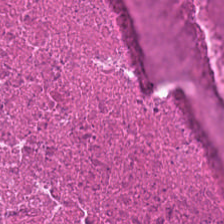H&E. Q: Classify this patch.
A: This is cellular debris.
